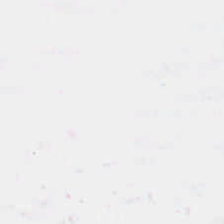H&E.
This field is background (no tissue).
